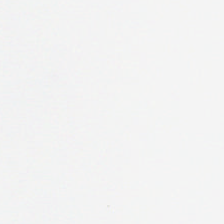{"content": "background"}
